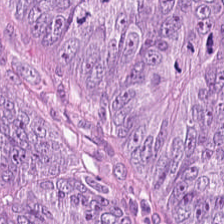Hematoxylin-and-eosin stained section — Q: What tissue is shown?
A: The field shows adenocarcinoma.
